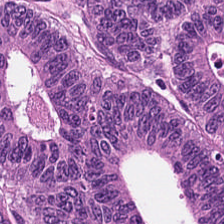Hematoxylin and eosin — This field is adenocarcinoma.
